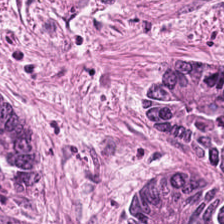FFPE tissue section · hematoxylin-and-eosin stained section — This field is tumor epithelium.
